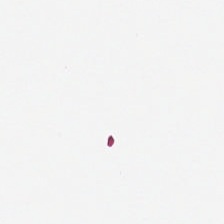H&E-stained tissue section — Finding → no tissue.
